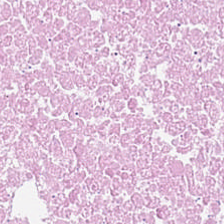FFPE · hematoxylin and eosin — Predominantly necrotic debris.
